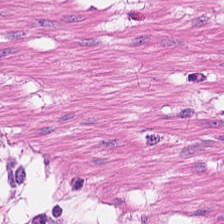Stain: H&E.
Tissue type: muscularis.
